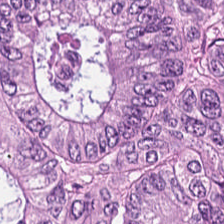Brightfield microscopy. Hematoxylin-and-eosin stained section. 224×224 pixel tile — {"tissue_type": "adenocarcinoma"}
